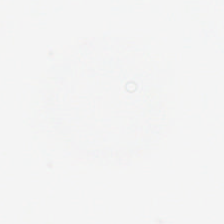H&E-stained tissue section.
This field is background (no tissue).
